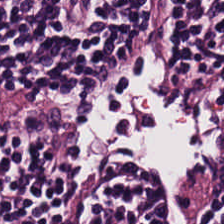Hematoxylin and eosin.
The tissue type is lymphocytic infiltrate.
